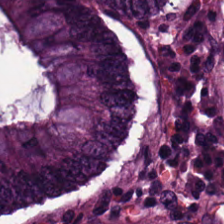Hematoxylin-and-eosin stained section — Predominantly adenocarcinoma.
